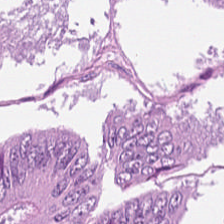H&E-stained tissue section; FFPE; 0.5 µm/px. Tissue class — tumor epithelium.
